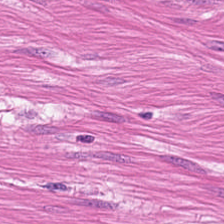H&E — smooth-muscle tissue.
